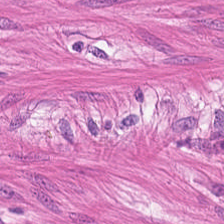Hematoxylin-and-eosin stained section. WSI patch. 0.5 microns per pixel — Classification — smooth muscle.
